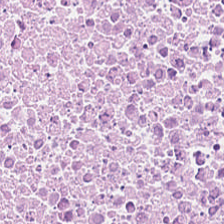Brightfield microscopy. 0.5 microns per pixel. Hematoxylin-and-eosin stained section. Finding → cellular debris.
